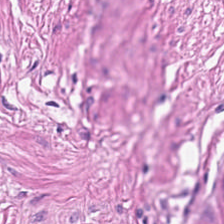224×224 px tile. Hematoxylin-and-eosin stained section.
The predominant tissue is muscularis.
